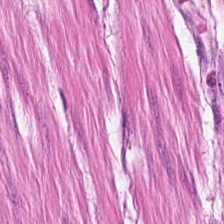H&E-stained tissue section. The tissue here is muscularis.
